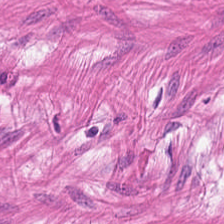H&E stain.
{"tissue_type": "smooth-muscle tissue"}
